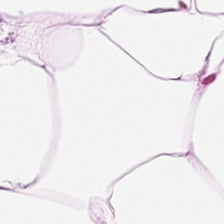Classification: fat tissue.
